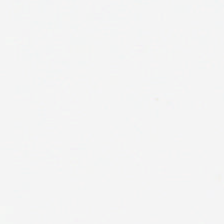The content is no tissue.
